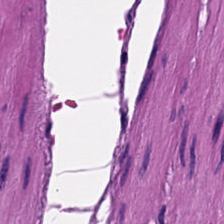Hematoxylin and eosin — Histology → smooth-muscle tissue.
